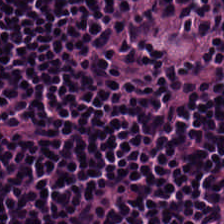H&E. Histology → lymphocytic infiltrate.
